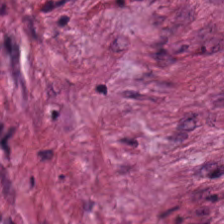Hematoxylin and eosin. The predominant tissue is tumor-associated stroma.
